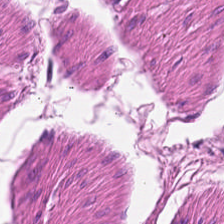Hematoxylin-and-eosin stained section.
The tissue type is smooth muscle.
